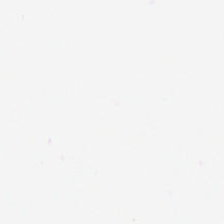Hematoxylin and eosin · FFPE tissue section · 0.5 µm/px. Q: What is shown here?
A: The field shows background (no tissue).
